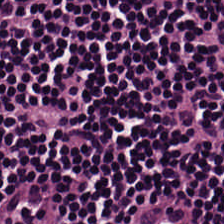224×224 px patch. H&E stain. Tissue: lymphocytic infiltrate.
